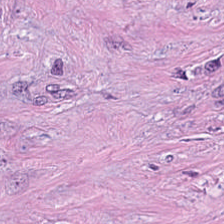Q: What does this patch show?
A: It is cancer-associated stroma.
